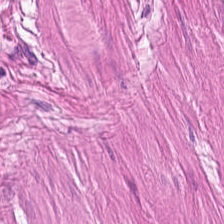0.5 µm per pixel · H&E. This field is smooth muscle.
